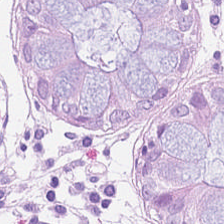Hematoxylin and eosin — Tissue class = non-neoplastic colon mucosa.
